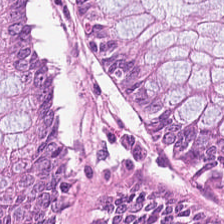Tissue class — normal colonic mucosa.
